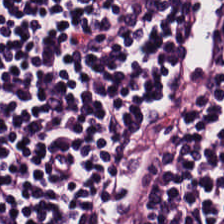Hematoxylin and eosin. Brightfield. The tissue here is lymphocytic infiltrate.
